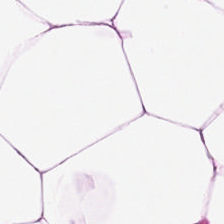This patch shows fat tissue.
